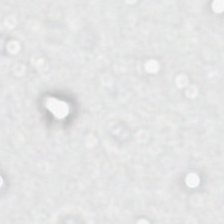Empty background.
